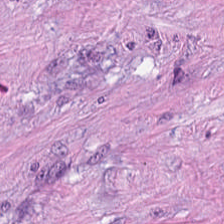This field is desmoplastic stroma.
